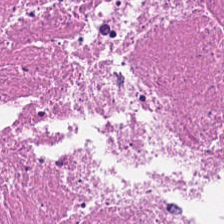Stain: hematoxylin-and-eosin stained section.
Predominant tissue: necrotic debris.
